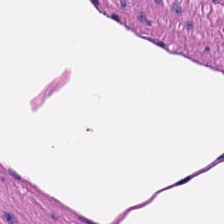Hematoxylin-and-eosin stained section.
Classification = smooth-muscle tissue.
